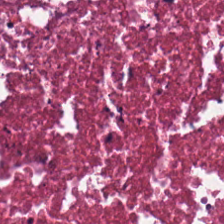Stain: H&E-stained tissue section.
Tissue type: cellular debris.
